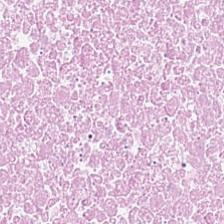Hematoxylin-and-eosin section: necrotic debris.
